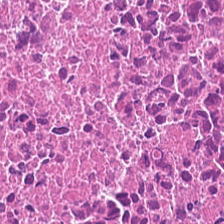H&E — The tissue here is debris.
